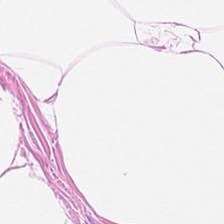Hematoxylin-and-eosin stained section. This patch shows adipose.
